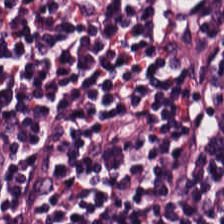H&E stain — Q: What type of tissue is this?
A: Lymphocytic infiltrate.
